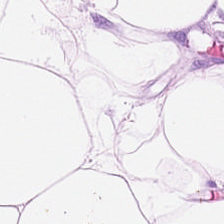H&E stain · 224×224 px tile. This patch shows fat tissue.
